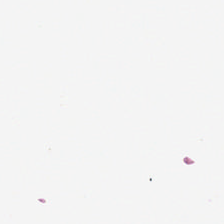0.5 microns per pixel · hematoxylin and eosin · 224×224 px tile.
No tissue present; background only.
